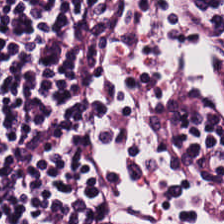Predominant tissue = lymphocyte aggregate.
